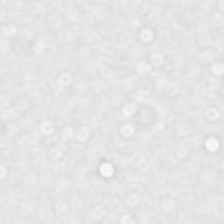Classification: background (no tissue).
